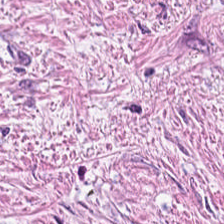Q: Identify the tissue.
A: It is desmoplastic stroma.
